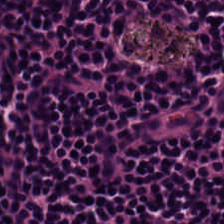H&E stain. Q: What does this patch show?
A: It is lymphoid infiltrate.
